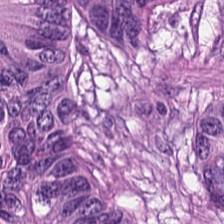Brightfield microscopy · H&E. This patch shows colorectal adenocarcinoma.
